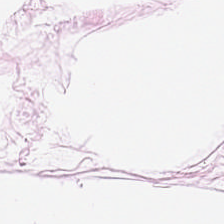H&E-stained section; the field shows fat tissue.
